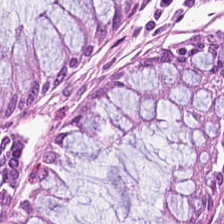224×224 px patch; H&E; 0.5 microns per pixel — Q: What does this patch show?
A: Benign colonic mucosa.
